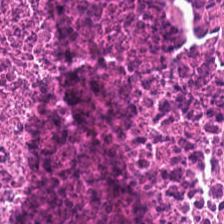This patch shows necrotic debris.
